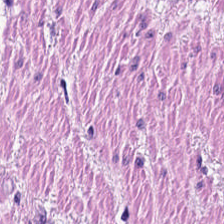H&E stain — Finding → smooth muscle.
